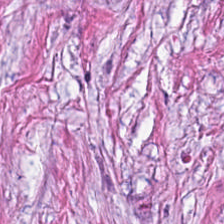H&E stain.
Classification — tumor stroma.
